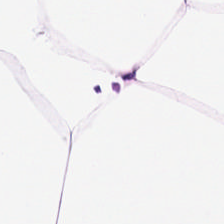H&E · 224×224 pixel tile · WSI patch.
Tissue class: adipocytes.
